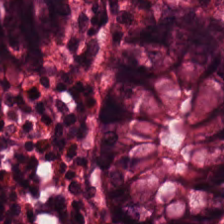H&E-stained tissue section. 224×224 pixel tile. Histology — normal colon mucosa.
